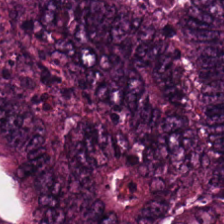20× equivalent magnification. H&E-stained tissue section — Tissue = tumor epithelium.
